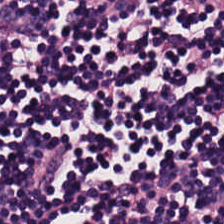Hematoxylin-and-eosin stained section. Brightfield. This field is lymphocyte aggregate.
